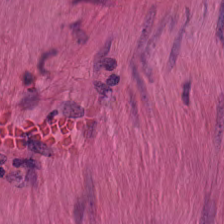H&E stain.
The tissue here is muscularis.
